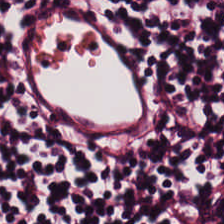224×224 px patch · H&E stain.
{"tissue_type": "lymphoid infiltrate"}
